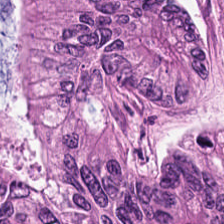This patch shows adenocarcinoma.
